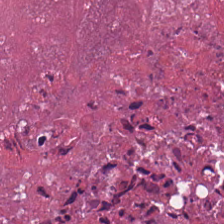FFPE tissue section · H&E-stained tissue section · brightfield — Tissue class — debris.
